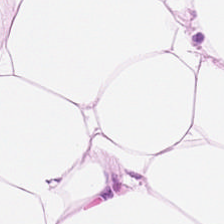H&E — Tissue = adipose tissue.
